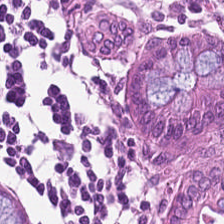H&E-stained tissue section.
Predominant tissue — non-neoplastic colon mucosa.
